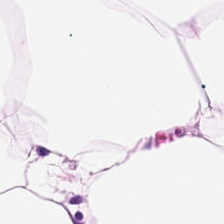Q: What type of tissue is this?
A: It is adipocytes.
